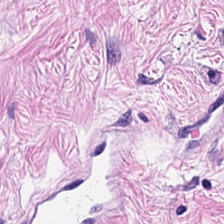H&E. 0.5 microns per pixel. Classification = desmoplastic stroma.
